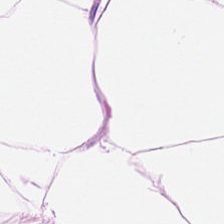224×224 px patch · hematoxylin and eosin — Classification = adipose tissue.
